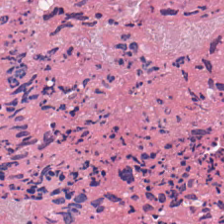Hematoxylin-and-eosin stained section · WSI patch — Q: What type of tissue is this?
A: This is debris.
